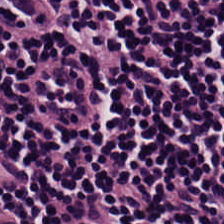H&E-stained tissue section.
Finding → lymphocyte aggregate.
